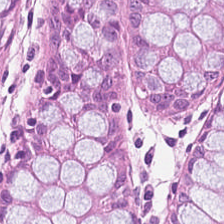Hematoxylin and eosin.
The tissue here is non-neoplastic colon mucosa.
